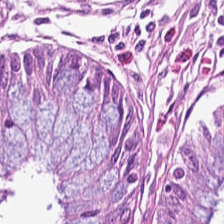Stain: H&E stain.
Resolution: 0.5 µm/px.
Tile size: 224×224 px tile.
Classification: non-neoplastic colon mucosa.
